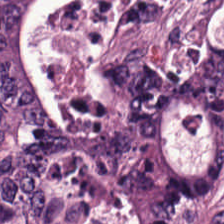Hematoxylin-and-eosin stained section · 224×224 pixel tile — Predominant tissue = colorectal adenocarcinoma epithelium.
